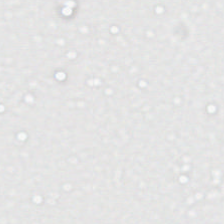Finding → background.
